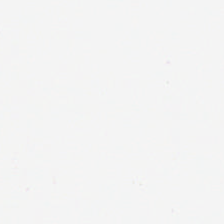Stain: H&E stain.
Content: no tissue.
